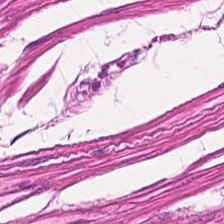This field is smooth-muscle tissue.
